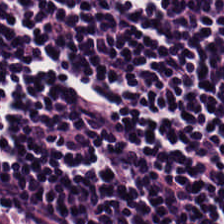Q: What is shown here?
A: Lymphocytic infiltrate.
